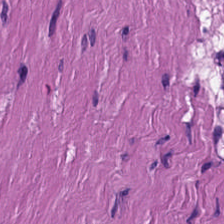0.5 microns per pixel · H&E · FFPE — The tissue class is muscularis.
